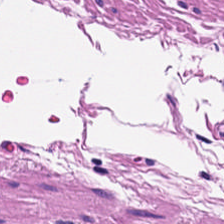Hematoxylin and eosin. Muscularis.
